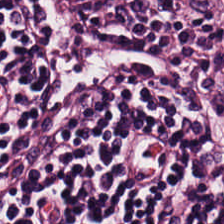Hematoxylin and eosin. Histology → lymphocyte aggregate.
